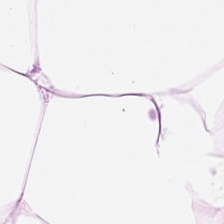Fat tissue.
